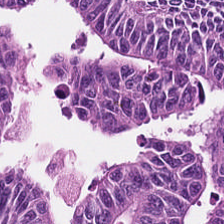FFPE tissue section. Whole-slide-image patch. H&E-stained tissue section.
Tissue type = colorectal adenocarcinoma epithelium.
